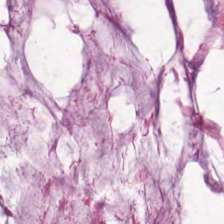Hematoxylin-and-eosin stained section. 0.5 µm per pixel — Tissue class — mucin.
